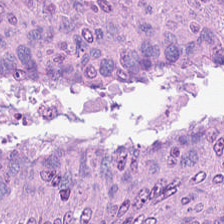Hematoxylin-and-eosin stained section.
{"tissue_type": "tumor epithelium"}
